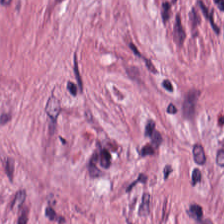0.5 µm/px. Formalin-fixed paraffin-embedded section. Hematoxylin-and-eosin stained section.
The tissue is cancer-associated stroma.
